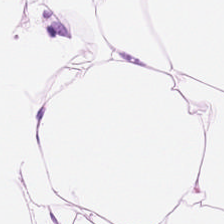H&E-stained tissue section.
The predominant tissue is fat tissue.
